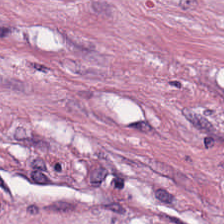H&E-stained tissue section.
Predominantly tumor-associated stroma.
